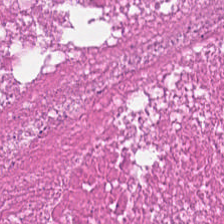224×224 pixel tile · 0.5 µm/px · H&E. Tissue type = debris.
